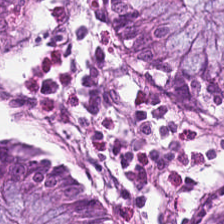Stain: H&E-stained tissue section.
Acquisition: WSI patch.
Tissue: benign colonic mucosa.
